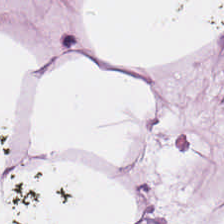Stain: hematoxylin-and-eosin stained section.
Resolution: 0.5 µm/px.
Predominant tissue: adipose.
